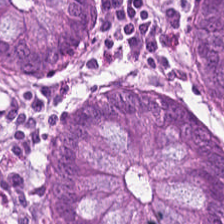H&E-stained tissue section.
The predominant tissue is normal colon mucosa.
